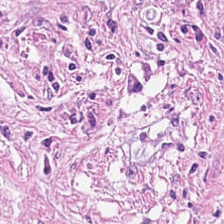Q: Identify the tissue.
A: This is tumor stroma.
